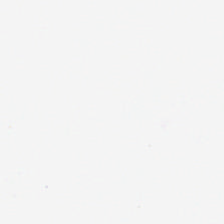Q: What does this patch show?
A: It is no tissue.
